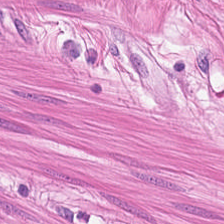Hematoxylin-and-eosin stained section. Showing smooth-muscle tissue.
